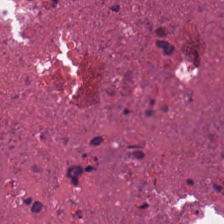Classification = cellular debris.
